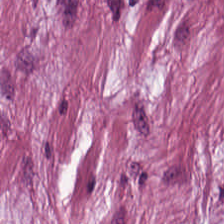{"tissue_type": "cancer-associated stroma"}
